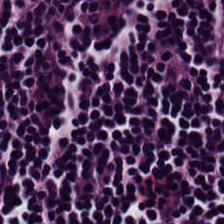H&E-stained tissue section — Showing lymphocyte aggregate.
